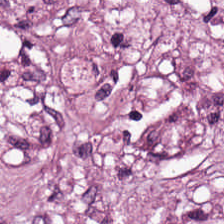224×224 pixel tile. H&E. Tissue type = cancer-associated stroma.
